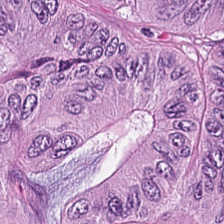H&E-stained tissue section. Predominantly colorectal adenocarcinoma epithelium.
